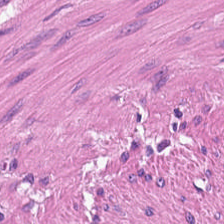Formalin-fixed paraffin-embedded section. H&E-stained tissue section. Tissue type = smooth muscle.
